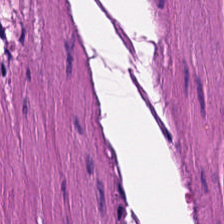H&E-stained tissue section.
Muscularis.
